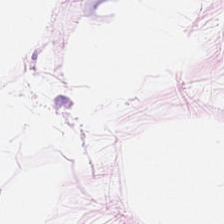Tissue class: fat tissue.
